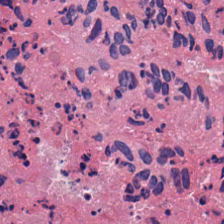Hematoxylin-and-eosin stained section. Formalin-fixed paraffin-embedded section. 224×224 px patch. Tissue class: necrotic debris.
